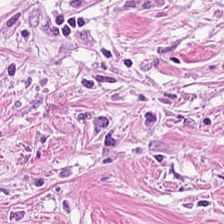Impression → tumor stroma.
